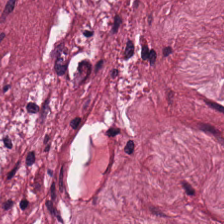224×224 px tile. H&E-stained tissue section. Formalin-fixed paraffin-embedded section. The tissue is tumor stroma.
